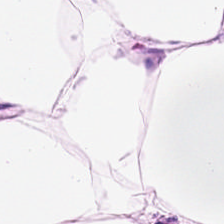Hematoxylin and eosin. The tissue class is adipose tissue.
